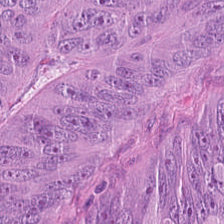0.5 microns per pixel · H&E stain. Q: What tissue type is shown here?
A: It is tumor epithelium.
